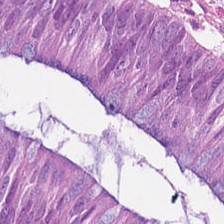Formalin-fixed paraffin-embedded section · H&E stain — Tissue class — malignant epithelium.
